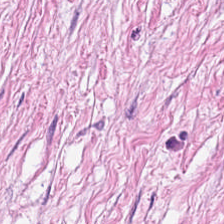Stain: H&E.
Resolution: 0.5 µm/px.
Classification: desmoplastic stroma.
